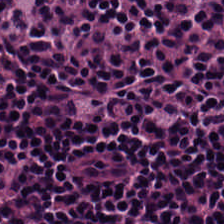H&E-stained tissue section; 224×224 pixel tile — This patch shows lymphoid infiltrate.
